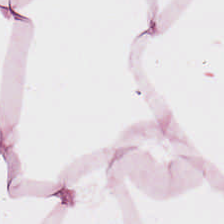Hematoxylin and eosin — Adipocytes.
